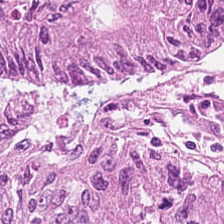Tissue type = malignant epithelium.
